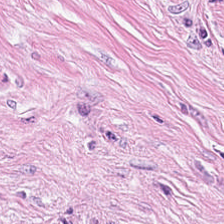Hematoxylin and eosin.
Tissue — desmoplastic stroma.
